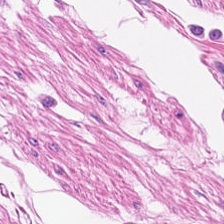H&E-stained tissue section.
The predominant tissue is smooth muscle.
